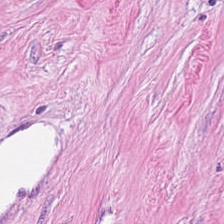0.5 microns per pixel; hematoxylin and eosin — Q: What is shown here?
A: It is tumor-associated stroma.
